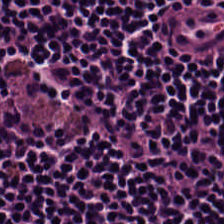Showing lymphocytic infiltrate.
